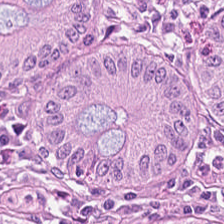0.5 microns per pixel. H&E-stained tissue section. This patch shows non-neoplastic colon mucosa.
